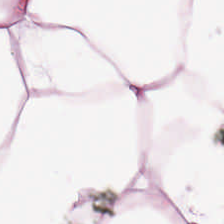H&E stain — Adipocytes.
